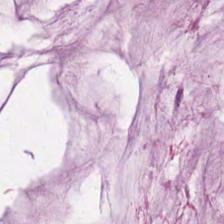H&E stain.
This field is mucus.
